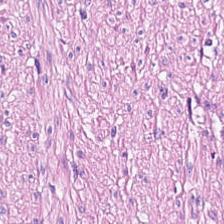Q: What is shown in this field?
A: Smooth muscle.
